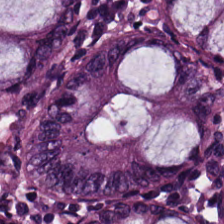H&E-stained tissue section; 0.5 µm per pixel — Predominantly benign colonic mucosa.
